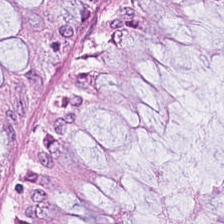Q: What is shown in this field?
A: Non-neoplastic colon mucosa.
